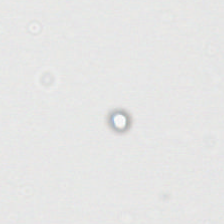Hematoxylin-and-eosin stained section.
{"content": "background"}
